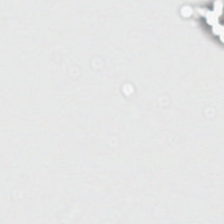224×224 px patch; hematoxylin and eosin.
Background (no tissue).
